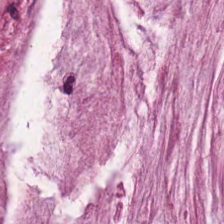Mucus.
